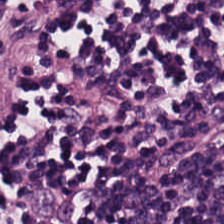H&E stain · FFPE · 0.5 µm per pixel.
Tissue: lymphoid infiltrate.
